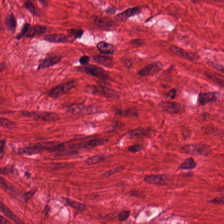H&E; FFPE tissue section.
Smooth-muscle tissue.
